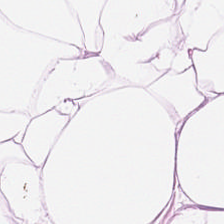Hematoxylin-and-eosin stained section. The tissue here is adipocytes.
